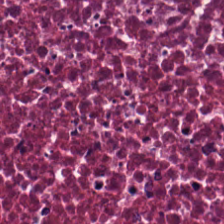Classification = debris.
